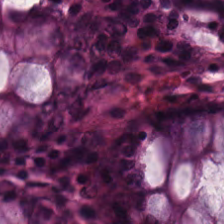H&E · formalin-fixed paraffin-embedded section — Predominantly non-neoplastic colon mucosa.
